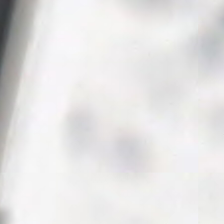Classification = background (no tissue).
